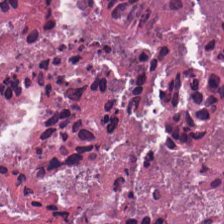H&E-stained tissue section — Q: What does this patch show?
A: The field shows cellular debris.
